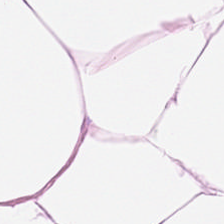Predominantly fat tissue.
